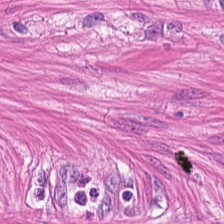Tissue type — smooth-muscle tissue.
